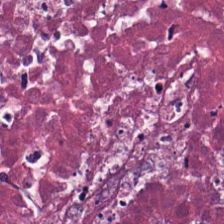Classification = necrotic debris.
